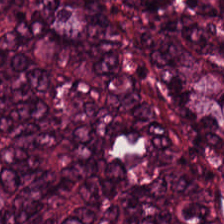Stain: H&E stain.
Tissue type: tumor epithelium.
